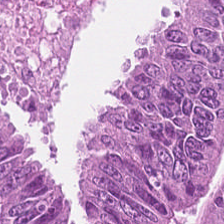Whole-slide-image patch · hematoxylin-and-eosin stained section.
The tissue class is colorectal adenocarcinoma epithelium.
